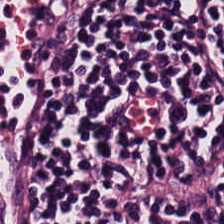Hematoxylin-and-eosin stained section · brightfield — Classification = lymphocytic infiltrate.
